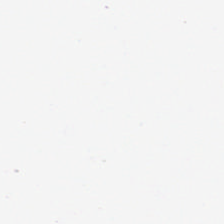H&E stain; 224×224 px tile.
Content — background (no tissue).
